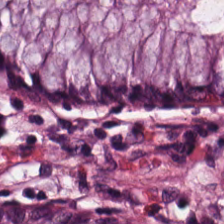Brightfield; hematoxylin and eosin; FFPE tissue section — Showing benign colonic mucosa.
